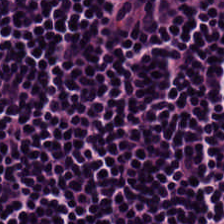Impression — lymphocytic infiltrate.
